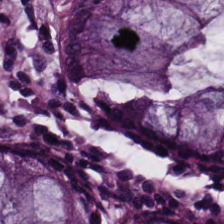{"tissue_type": "normal colonic mucosa"}
